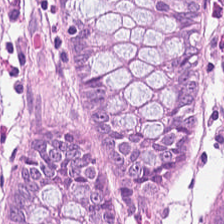H&E stain; 224×224 px patch.
Showing benign colonic mucosa.
